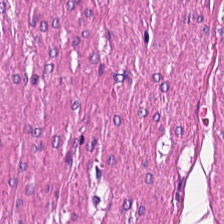H&E stain — The tissue here is smooth muscle.
